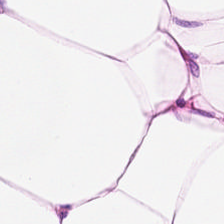FFPE. Hematoxylin and eosin. Q: What type of tissue is this?
A: This is fat tissue.
